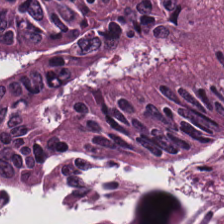224×224 px patch; hematoxylin-and-eosin stained section — {"tissue_type": "colorectal adenocarcinoma"}
